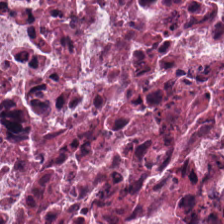H&E-stained tissue section. 224×224 px tile.
Tissue type = cellular debris.
